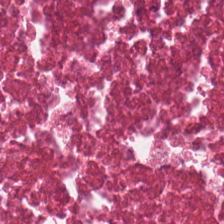Showing necrotic debris.
